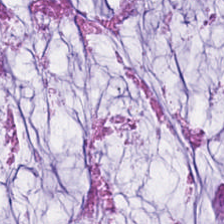H&E-stained tissue section · WSI patch — Q: What is shown in this field?
A: The field shows mucus.
